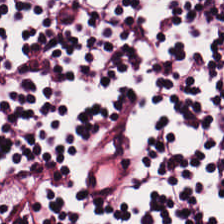H&E — Finding → lymphocytic infiltrate.
